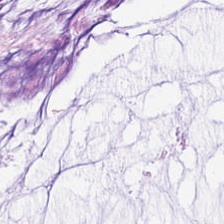Stain: H&E-stained tissue section.
Classification: extracellular mucin.
